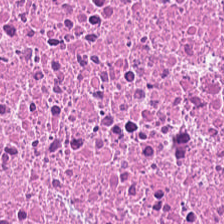20× equivalent magnification; hematoxylin-and-eosin stained section.
Finding → necrotic debris.
